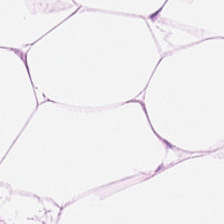H&E stain · 0.5 µm per pixel.
The predominant tissue is adipocytes.
